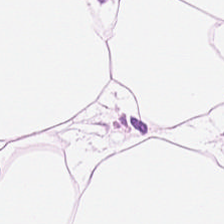Brightfield microscopy. Hematoxylin and eosin — Histology → adipose tissue.
